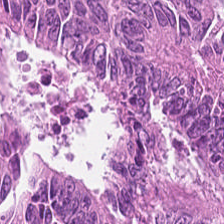This field is colorectal adenocarcinoma.
